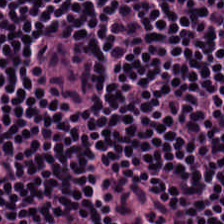{"tissue_type": "lymphocytes"}
